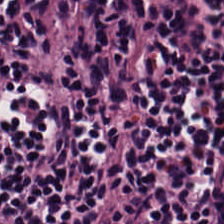Hematoxylin-and-eosin stained section.
Showing lymphocyte aggregate.
